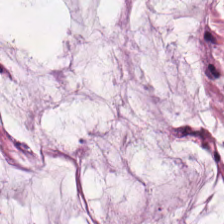Hematoxylin and eosin. Impression — mucin.
